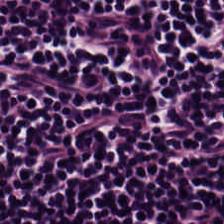Hematoxylin-and-eosin stained section. Finding → lymphocytic infiltrate.
